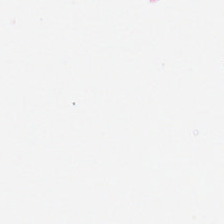224×224 px patch; H&E.
{"content": "background (no tissue)"}
